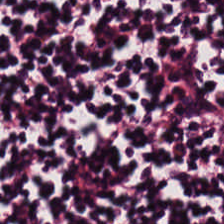Q: What type of tissue is this?
A: It is lymphoid infiltrate.
